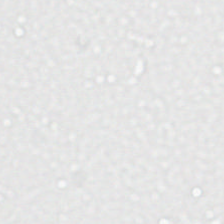WSI patch · H&E — Content: background (no tissue).
